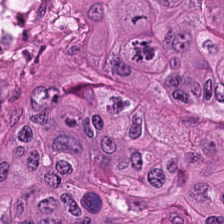H&E. Histology — malignant epithelium.
